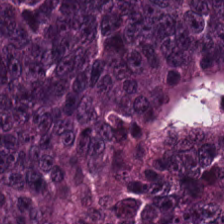224×224 px tile. FFPE. H&E. Q: What does this patch show?
A: Colorectal adenocarcinoma.
